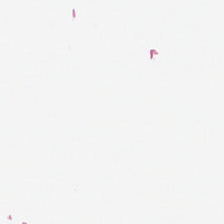224×224 pixel tile. Brightfield. H&E-stained tissue section — Empty field — background (no tissue).
